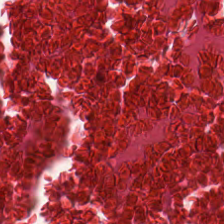Q: What is shown in this field?
A: This is debris.
